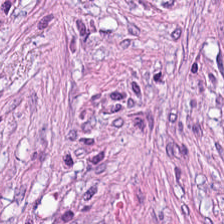H&E-stained tissue section.
Tissue — tumor-associated stroma.
